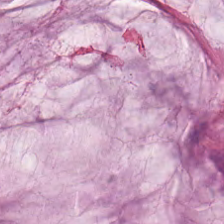0.5 microns per pixel. Hematoxylin and eosin.
Tissue type — mucus.
